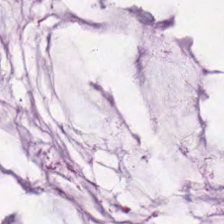0.5 µm/px; hematoxylin and eosin — Tissue class: mucus.
